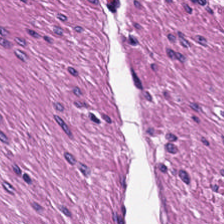224×224 pixel tile. H&E-stained tissue section.
Q: What is shown here?
A: The field shows smooth-muscle tissue.
